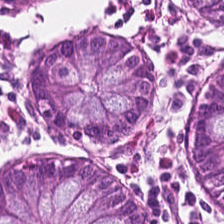Hematoxylin-and-eosin stained section. The tissue here is normal colon mucosa.
